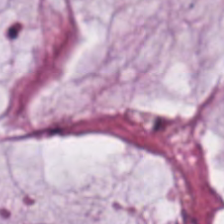Predominantly mucus.
